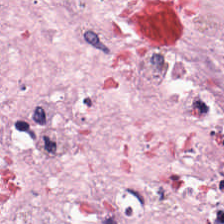H&E. This field is desmoplastic stroma.
